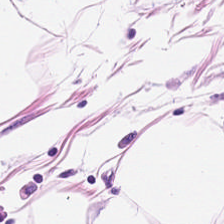Hematoxylin and eosin; 224×224 px tile.
Q: What is shown in this field?
A: It is fat tissue.
